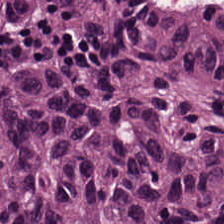Q: What type of tissue is this?
A: It is malignant epithelium.
